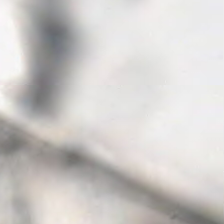H&E · FFPE tissue section.
The classification is background (no tissue).
